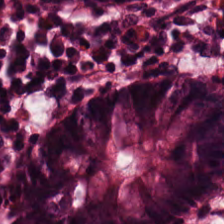H&E-stained tissue section.
Q: What is shown in this field?
A: The field shows non-neoplastic colon mucosa.
